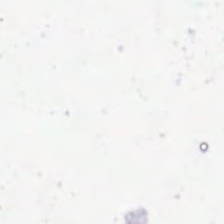Whole-slide-image patch. Formalin-fixed paraffin-embedded section. Hematoxylin and eosin.
No tissue present; background only.
